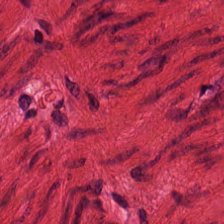FFPE; H&E stain. Predominantly smooth muscle.
